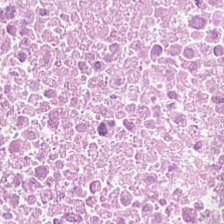H&E — Predominantly cellular debris.
